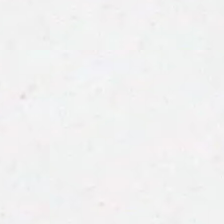Hematoxylin-and-eosin stained section; brightfield microscopy. Classification — background (no tissue).
